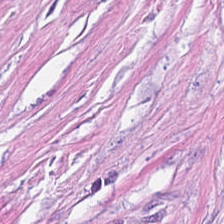Q: What is shown in this field?
A: The field shows tumor stroma.
